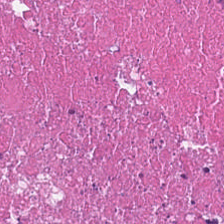Hematoxylin-and-eosin stained section · 224×224 pixel tile · formalin-fixed paraffin-embedded section.
Tissue: necrotic debris.
